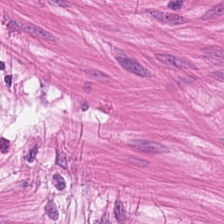H&E stain; WSI patch.
Q: What does this patch show?
A: It is smooth-muscle tissue.
